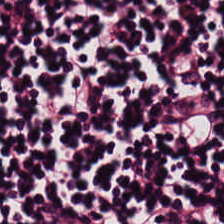Tissue class: lymphocyte aggregate.
